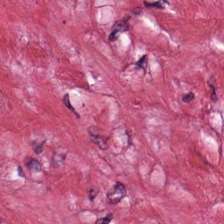H&E-stained tissue section.
Impression → tumor stroma.
